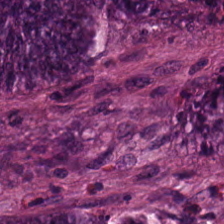H&E-stained tissue section.
The predominant tissue is colorectal adenocarcinoma epithelium.
